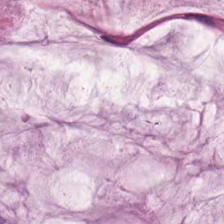20× equivalent magnification. H&E — This field is mucin.
